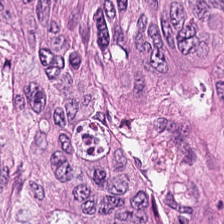Stain: H&E stain.
Tissue: adenocarcinoma.
